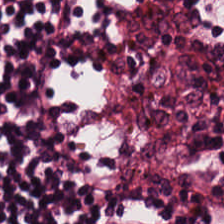Stain: H&E.
Classification: lymphocytes.
